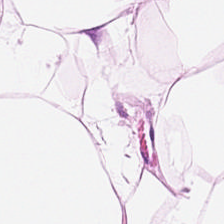Hematoxylin and eosin — This patch shows adipose tissue.
